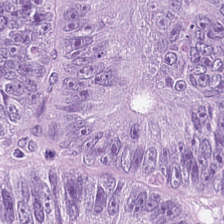Whole-slide-image patch; H&E-stained tissue section; 20× equivalent magnification — Impression → adenocarcinoma.
